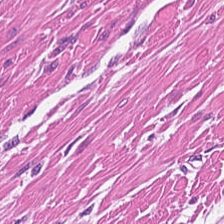WSI patch · H&E.
The predominant tissue is smooth muscle.
